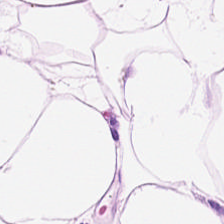Hematoxylin and eosin. Classification — adipocytes.
